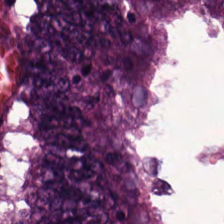The predominant tissue is colorectal adenocarcinoma.
